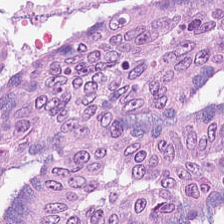H&E-stained tissue section. The predominant tissue is colorectal adenocarcinoma.
